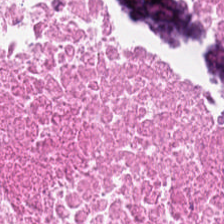H&E; 0.5 microns per pixel; 224×224 px tile.
Tissue = necrotic debris.
